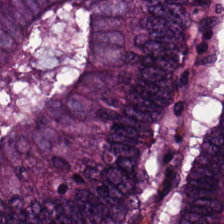H&E stain.
This patch shows colorectal adenocarcinoma epithelium.
